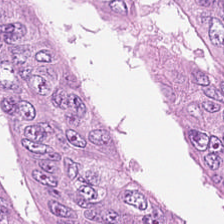Hematoxylin-and-eosin stained section — This field is tumor epithelium.
